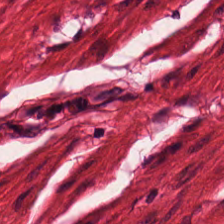H&E. Tissue — smooth muscle.
